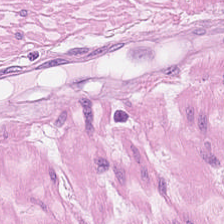H&E-stained tissue section.
The classification is smooth-muscle tissue.
